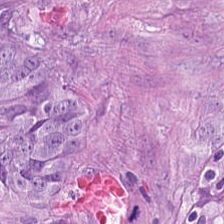Hematoxylin-and-eosin stained section.
The tissue here is adenocarcinoma.
